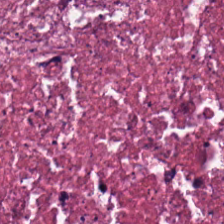H&E.
Classification — necrotic debris.
